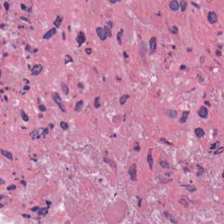0.5 microns per pixel; H&E-stained tissue section.
Tissue = debris.
